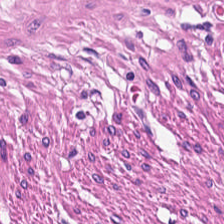224×224 px tile; hematoxylin-and-eosin stained section — Tissue type = muscularis.
